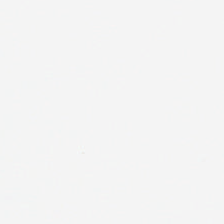Content: empty background.
